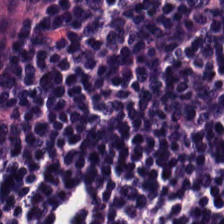H&E-stained tissue section. The predominant tissue is lymphoid infiltrate.
